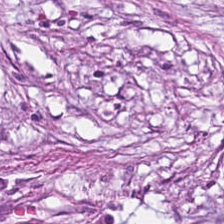Stain: H&E stain.
Tissue class: cancer-associated stroma.
